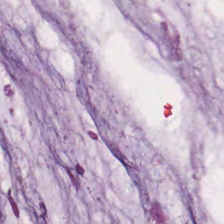Stain: hematoxylin and eosin.
Tissue: mucin.
